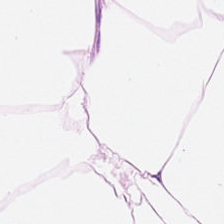Hematoxylin-and-eosin stained section; brightfield microscopy — The predominant tissue is adipocytes.
